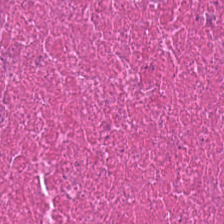H&E stain.
Q: What type of tissue is this?
A: Debris.
